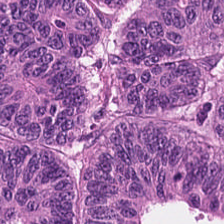H&E stain — Colorectal adenocarcinoma.
